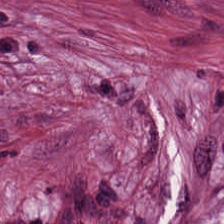FFPE tissue section; hematoxylin and eosin. Q: What does this patch show?
A: It is tumor-associated stroma.
